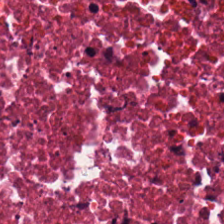H&E — This field is cellular debris.
